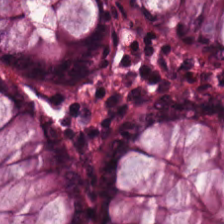Tissue: normal colon mucosa.
